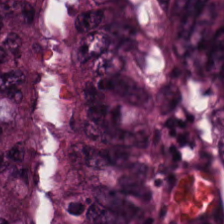Hematoxylin and eosin. {"tissue_type": "colorectal adenocarcinoma"}
